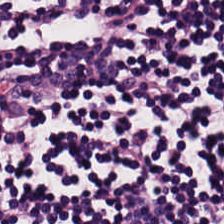This patch shows lymphoid infiltrate.
